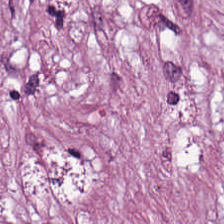224×224 pixel tile; hematoxylin-and-eosin stained section; 0.5 µm/px.
The tissue here is tumor stroma.
